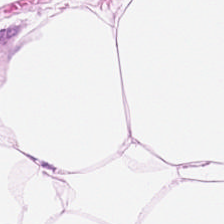224×224 px tile; H&E-stained tissue section. This patch shows adipose tissue.
